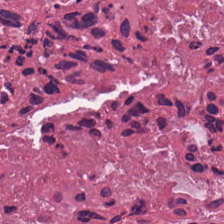Hematoxylin and eosin — Impression — cellular debris.
